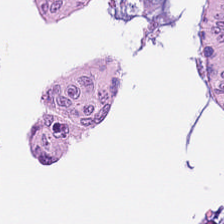Stain: H&E-stained tissue section.
Tissue: malignant epithelium.
